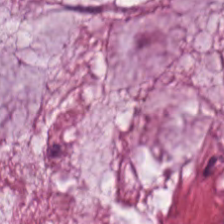Q: What type of tissue is this?
A: This is mucin.
